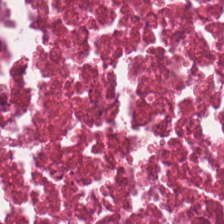Brightfield · hematoxylin-and-eosin stained section.
Histology → debris.
